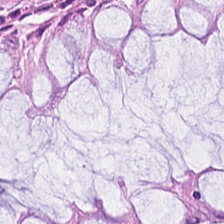H&E-stained tissue section. Showing normal colonic mucosa.
